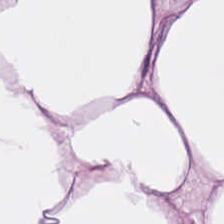Hematoxylin and eosin. Adipose tissue.
